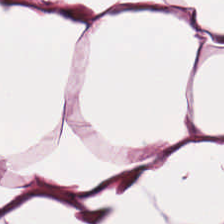H&E-stained tissue section. 224×224 px patch. 0.5 µm/px.
Fat tissue.
